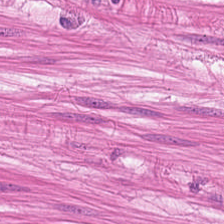Impression — smooth muscle.
